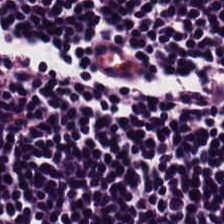H&E.
Q: Identify the tissue.
A: This is lymphocyte aggregate.
